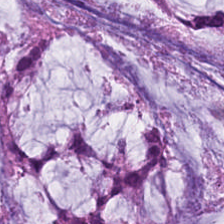H&E-stained tissue section; 0.5 microns per pixel.
This field is mucus.
